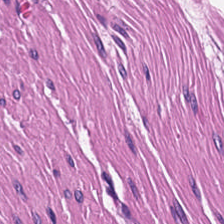H&E stain — This patch shows smooth-muscle tissue.
